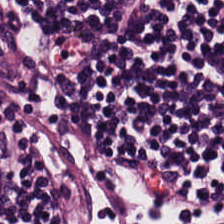The predominant tissue is lymphocytic infiltrate.
